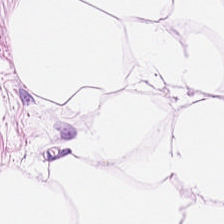H&E stain. The tissue here is adipocytes.
